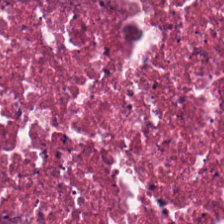224×224 pixel tile; H&E-stained tissue section.
The tissue type is debris.
